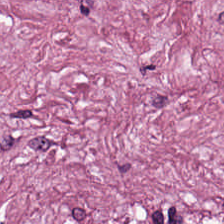Stain: H&E.
Classification: desmoplastic stroma.
